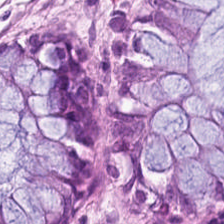0.5 µm/px; brightfield; hematoxylin-and-eosin stained section. {"tissue_type": "normal colonic mucosa"}
